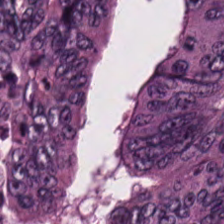20× equivalent magnification. H&E stain.
The tissue here is colorectal adenocarcinoma.
